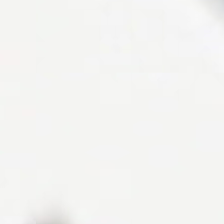Hematoxylin and eosin — Background — no tissue in this field.
